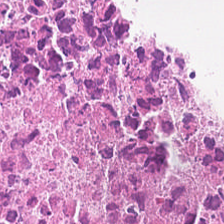H&E.
Impression — cellular debris.
